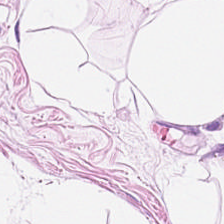H&E-stained tissue section · formalin-fixed paraffin-embedded section — Tissue type: adipose.
